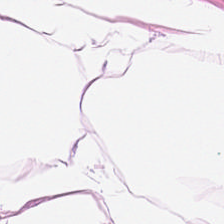The tissue is adipose tissue.
